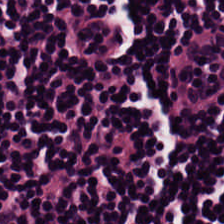Hematoxylin and eosin. Lymphocytic infiltrate.
